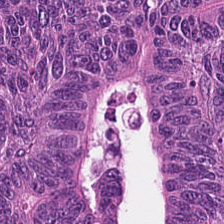The classification is tumor epithelium.
